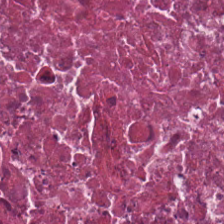Q: What is the predominant tissue type?
A: It is necrotic debris.
